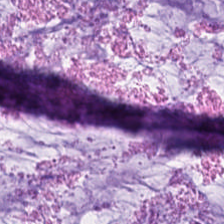H&E-stained tissue section. Formalin-fixed paraffin-embedded section — The predominant tissue is mucus.
